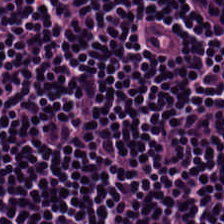H&E — Finding — lymphocytic infiltrate.
